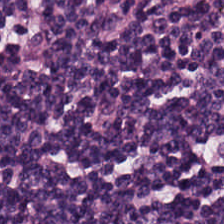Stain: H&E.
Tissue type: lymphocytes.
